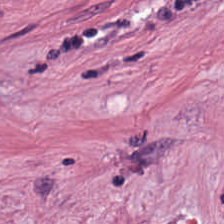H&E; brightfield; 224×224 px patch — Impression → cancer-associated stroma.
